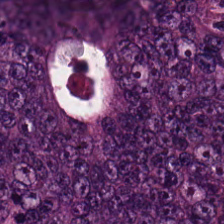H&E stain.
The tissue here is colorectal adenocarcinoma epithelium.
